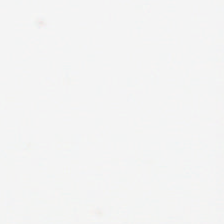Hematoxylin-and-eosin stained section.
No tissue present; background only.
